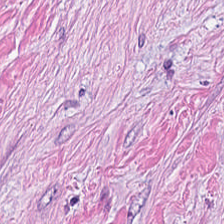This field is tumor-associated stroma.
